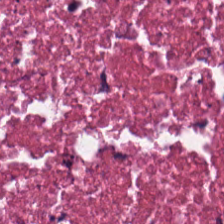Hematoxylin and eosin · 0.5 µm per pixel — Tissue — cellular debris.
